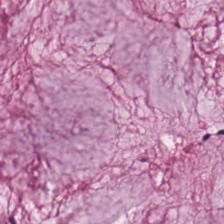H&E stain.
The tissue is extracellular mucin.
